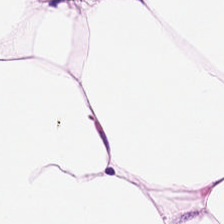H&E.
The classification is adipose tissue.
